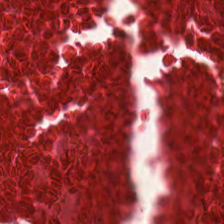H&E. Predominantly necrotic debris.
